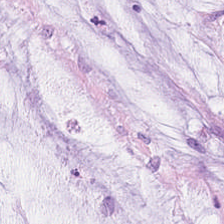Hematoxylin and eosin.
Tissue class: mucin.
